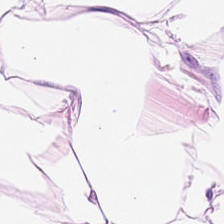H&E.
The predominant tissue is fat tissue.
